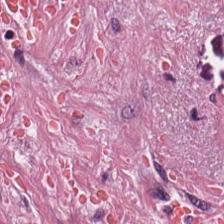FFPE; WSI patch; H&E-stained tissue section. Tissue = desmoplastic stroma.
